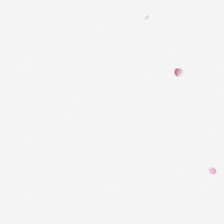H&E stain. Empty background.
